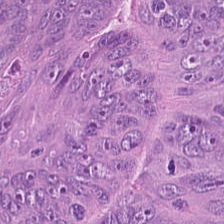Hematoxylin-and-eosin stained section. Tissue = colorectal adenocarcinoma.
